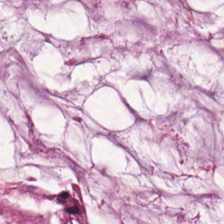Hematoxylin-and-eosin stained section. Tissue type: extracellular mucin.
